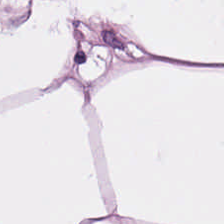This patch shows fat tissue.
